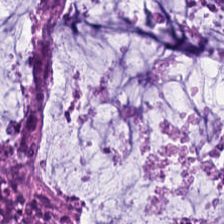Hematoxylin and eosin; 224×224 px tile; 0.5 microns per pixel. Impression → mucus.
